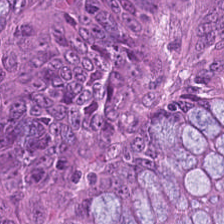H&E stain.
Predominantly malignant epithelium.
